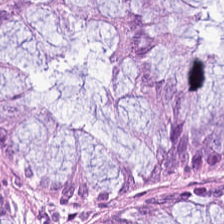Hematoxylin-and-eosin stained section. Brightfield microscopy. 0.5 microns per pixel — Classification = normal colonic mucosa.
